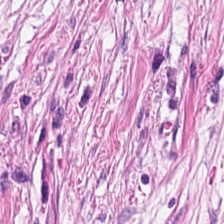Stain: H&E stain.
Tissue: desmoplastic stroma.
